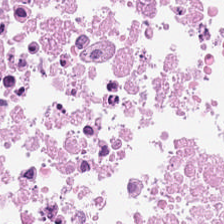H&E-stained tissue section. Q: What tissue is shown?
A: This is necrotic debris.
